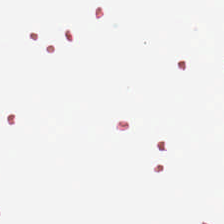This patch shows background (no tissue).
